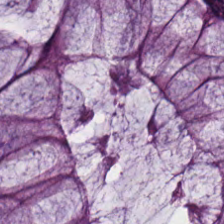Non-neoplastic colon mucosa.
